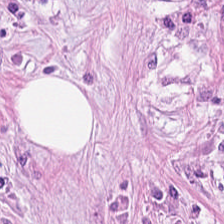224×224 px patch; H&E-stained tissue section.
Showing tumor-associated stroma.
